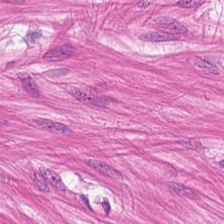Hematoxylin and eosin. Impression — smooth muscle.
